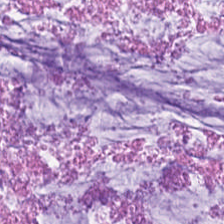0.5 µm/px. H&E-stained tissue section — Classification: mucin.
